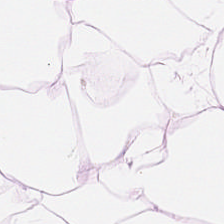Brightfield; H&E. Impression → adipose.
